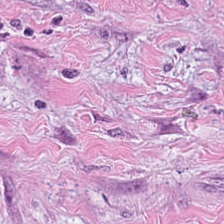Hematoxylin and eosin. Showing tumor stroma.
